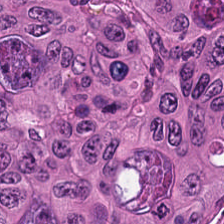Q: What is shown here?
A: The field shows tumor epithelium.
